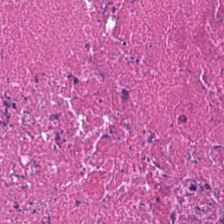Hematoxylin-and-eosin stained section. The predominant tissue is debris.
